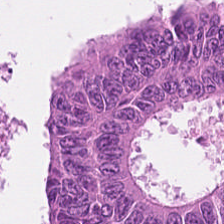H&E. Histology — adenocarcinoma.
